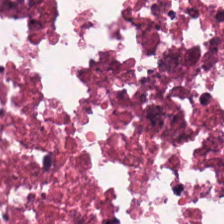H&E stain.
Q: What does this patch show?
A: Debris.
